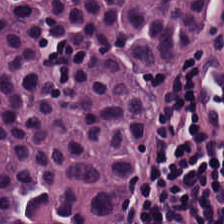H&E — lymphocyte aggregate.
